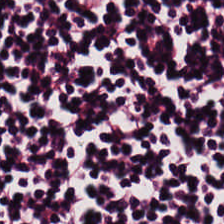Stain: H&E stain.
Preparation: FFPE tissue section.
Tile size: 224×224 pixel tile.
Tissue type: lymphoid infiltrate.
